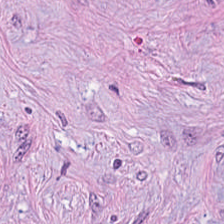Hematoxylin-and-eosin stained section — Q: What is shown here?
A: The field shows tumor stroma.
